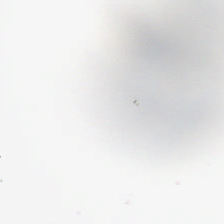Stain: H&E stain.
Resolution: 0.5 µm per pixel.
Preparation: FFPE.
Content: no tissue.
